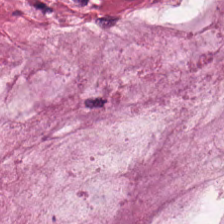H&E — Q: What does this patch show?
A: Mucin.
